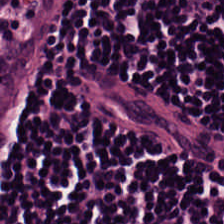0.5 µm/px · hematoxylin-and-eosin stained section · 224×224 pixel tile. Predominant tissue: lymphocyte aggregate.
